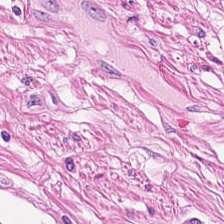Stain: hematoxylin-and-eosin stained section.
Tissue class: muscularis.
